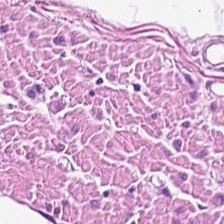Q: What type of tissue is this?
A: This is muscularis.
